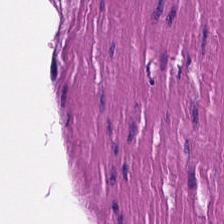Predominant tissue: smooth muscle.
